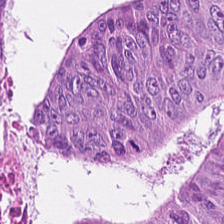Whole-slide-image patch. H&E.
{"tissue_type": "tumor epithelium"}
